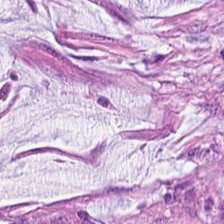H&E stain. Q: What is the predominant tissue type?
A: Mucus.
